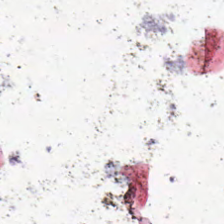Hematoxylin-and-eosin stained section · brightfield — Background.
